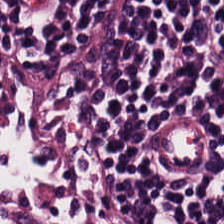H&E-stained tissue section showing lymphocytes.
